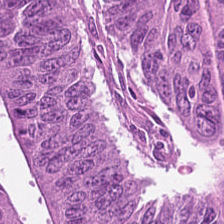Classification = colorectal adenocarcinoma.
